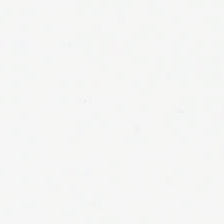H&E stain; brightfield microscopy; 224×224 pixel tile. No tissue present; background only.
